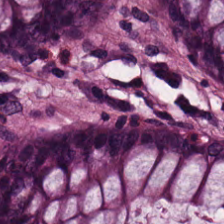H&E — The predominant tissue is normal colonic mucosa.
